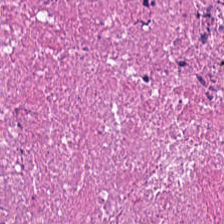Hematoxylin and eosin. Debris.
